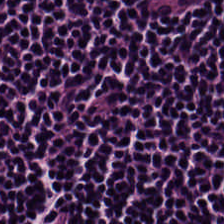H&E-stained tissue section.
Classification = lymphoid infiltrate.
